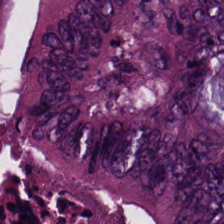Hematoxylin-and-eosin stained section. 224×224 px patch. WSI patch. Q: Classify this patch.
A: It is tumor epithelium.
